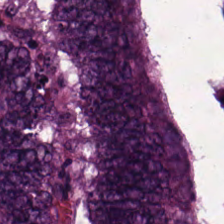Whole-slide-image patch · H&E · 224×224 pixel tile.
Q: What is the predominant tissue type?
A: The field shows colorectal adenocarcinoma.
